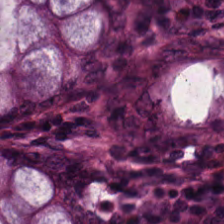20× equivalent magnification; hematoxylin-and-eosin stained section.
The tissue here is benign colonic mucosa.
